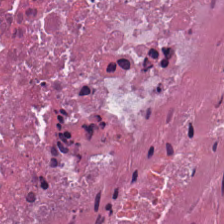Hematoxylin and eosin. FFPE tissue section — The predominant tissue is cellular debris.
